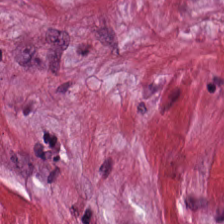Stain: H&E stain.
Tissue class: tumor stroma.
